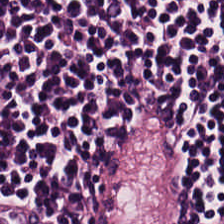Hematoxylin-and-eosin stained section. Impression — lymphoid infiltrate.
